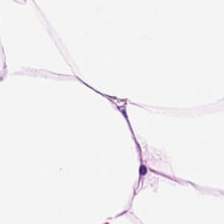H&E; 0.5 microns per pixel — Predominantly fat tissue.
